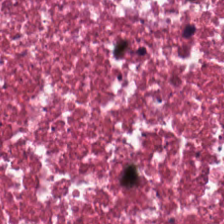Hematoxylin and eosin. WSI patch — Histology — debris.
